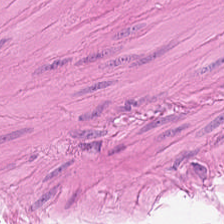Hematoxylin and eosin — Showing muscularis.
